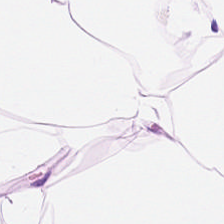H&E. {"tissue_type": "adipose tissue"}
